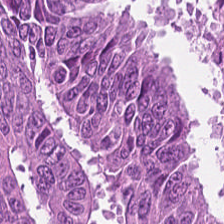H&E. 224×224 px tile.
{"tissue_type": "adenocarcinoma"}
